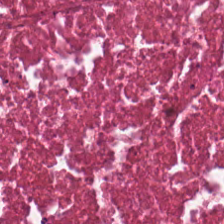224×224 px tile; H&E-stained tissue section; 0.5 microns per pixel. This patch shows cellular debris.
